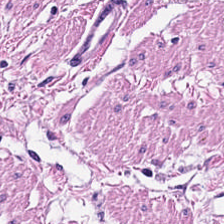Stain: hematoxylin-and-eosin stained section.
Classification: smooth muscle.
